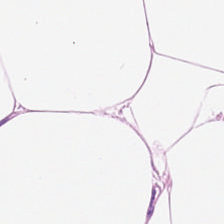FFPE · brightfield microscopy · hematoxylin and eosin. Adipose tissue.
